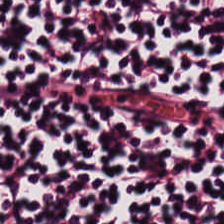Hematoxylin and eosin. Lymphocyte aggregate.
